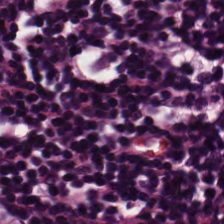Hematoxylin and eosin — Q: What is the predominant tissue type?
A: The field shows lymphocytes.
